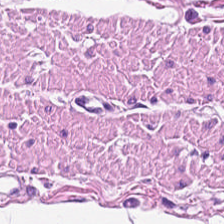H&E patch showing smooth-muscle tissue.
